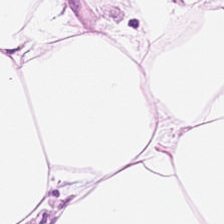FFPE. Brightfield microscopy. Hematoxylin and eosin. Finding → adipose.
